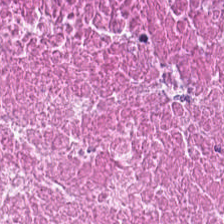WSI patch · H&E.
Predominant tissue: debris.
